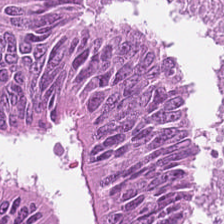H&E patch showing tumor epithelium.
